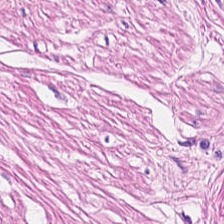H&E stain. Q: Classify this patch.
A: Smooth-muscle tissue.
